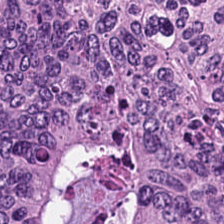Stain: H&E stain.
Predominant tissue: tumor epithelium.
